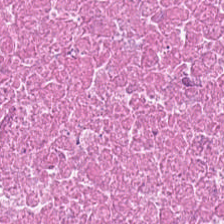Stain: H&E-stained tissue section.
Tissue class: cellular debris.
